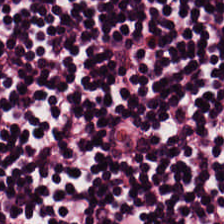H&E-stained tissue section; brightfield microscopy — Histology — lymphocyte aggregate.
